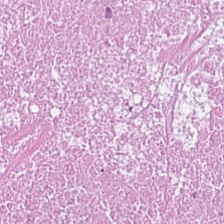H&E.
Q: What is shown here?
A: The field shows cellular debris.
